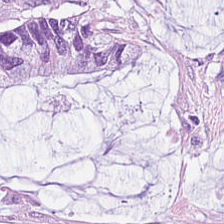Predominant tissue = mucus.
